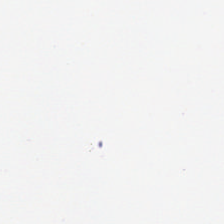Stain: H&E-stained tissue section.
Field content: background.
